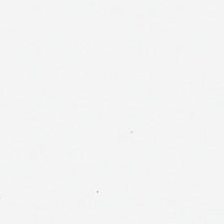Hematoxylin and eosin.
{"content": "background"}
